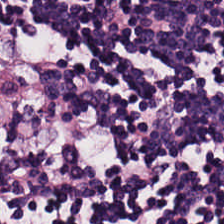20× equivalent magnification · H&E.
Classification — lymphocytic infiltrate.
